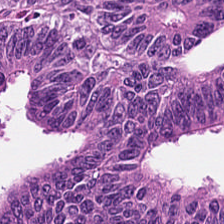Hematoxylin and eosin.
Malignant epithelium.
